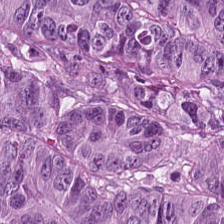Malignant epithelium.
